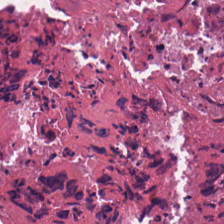Hematoxylin and eosin — Q: Classify this patch.
A: Cellular debris.
